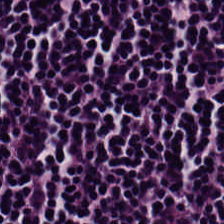H&E — lymphocytes.
